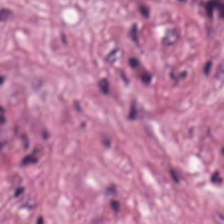Stain: hematoxylin and eosin.
Acquisition: WSI patch.
Resolution: 20× equivalent magnification.
Classification: tumor stroma.
